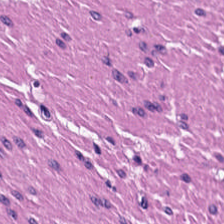The predominant tissue is muscularis.
